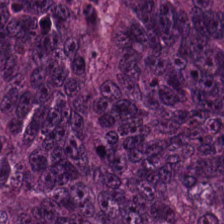0.5 microns per pixel · H&E-stained tissue section.
Q: Classify this patch.
A: This is colorectal adenocarcinoma epithelium.
